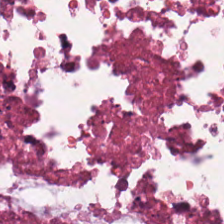Hematoxylin and eosin — Histology → necrotic debris.
